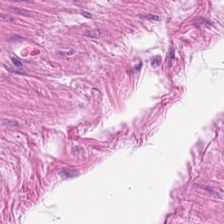Hematoxylin and eosin. 20× equivalent magnification. Q: What is shown in this field?
A: The field shows muscularis.
